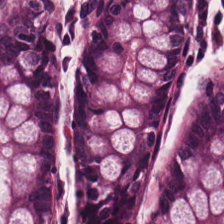H&E-stained tissue section. Histology → benign colonic mucosa.
